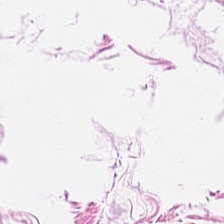This patch shows adipose.
